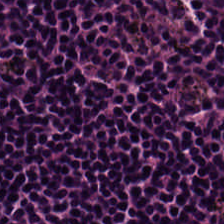224×224 px patch. Hematoxylin-and-eosin stained section.
Q: What is the predominant tissue type?
A: This is lymphocyte aggregate.
